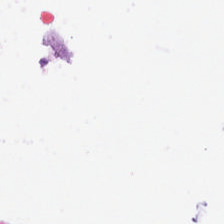No tissue.
